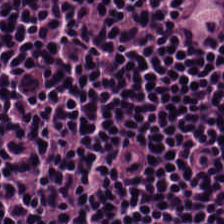Formalin-fixed paraffin-embedded section; H&E stain. Impression → lymphoid infiltrate.
